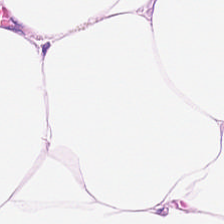Stain: hematoxylin-and-eosin stained section.
Classification: adipose tissue.
